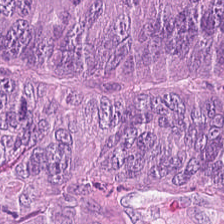H&E-stained tissue section. Formalin-fixed paraffin-embedded section.
Q: What is shown in this field?
A: It is colorectal adenocarcinoma.
